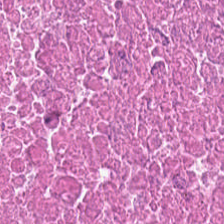The predominant tissue is necrotic debris.
